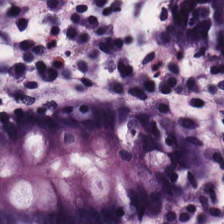Hematoxylin-and-eosin stained section — Benign colonic mucosa.
